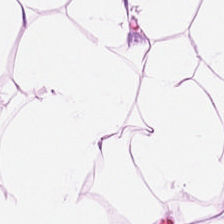Hematoxylin-and-eosin stained section — {"tissue_type": "adipose tissue"}
